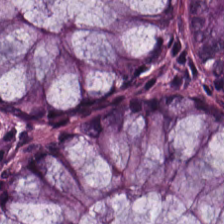Stain: H&E.
Resolution: 0.5 microns per pixel.
Tile size: 224×224 px patch.
Tissue: non-neoplastic colon mucosa.
